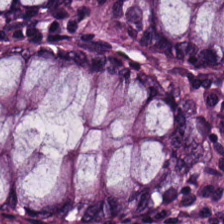H&E stain. Tissue class — benign colonic mucosa.
